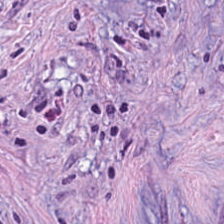H&E-stained tissue section.
Q: What does this patch show?
A: The field shows desmoplastic stroma.
